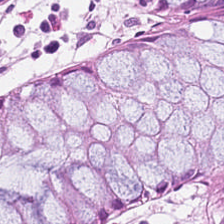H&E; FFPE; 0.5 µm/px — Histology — benign colonic mucosa.
